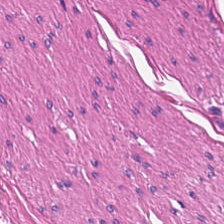Stain: H&E-stained tissue section.
Tissue class: muscularis.
